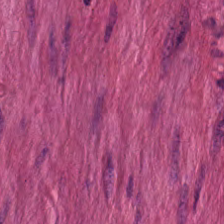Brightfield microscopy · hematoxylin-and-eosin stained section.
Q: What type of tissue is this?
A: It is smooth-muscle tissue.
